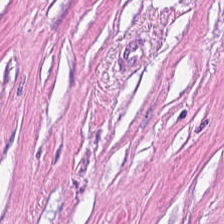FFPE. 224×224 px tile. H&E stain — This patch shows desmoplastic stroma.
